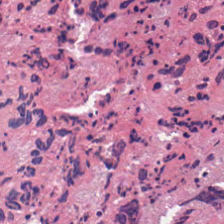Hematoxylin-and-eosin stained section.
Q: What is the predominant tissue type?
A: It is debris.
